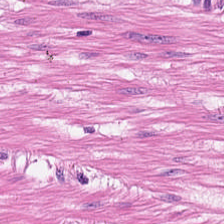The tissue is smooth muscle.
